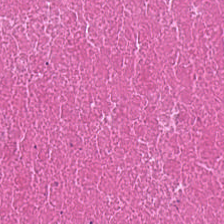0.5 microns per pixel. 224×224 px tile. Hematoxylin-and-eosin stained section. The predominant tissue is necrotic debris.
